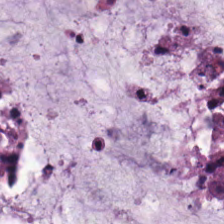Histology → mucin.
